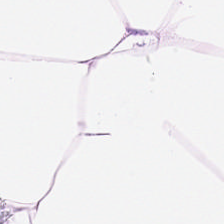Hematoxylin and eosin.
Q: What is shown here?
A: The field shows adipose.
